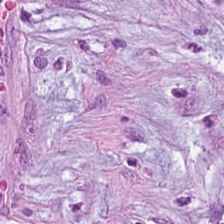Predominant tissue: desmoplastic stroma.
